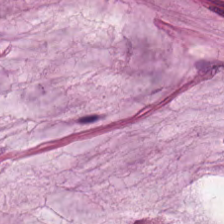H&E; 0.5 microns per pixel; 224×224 pixel tile.
Q: Classify this patch.
A: It is mucus.
